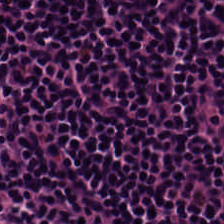WSI patch; hematoxylin and eosin; FFPE tissue section — Tissue type: lymphoid infiltrate.
